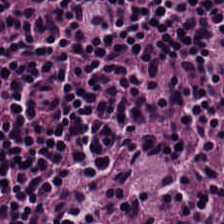Stain: H&E stain.
Preparation: formalin-fixed paraffin-embedded section.
Tissue class: lymphocytes.
